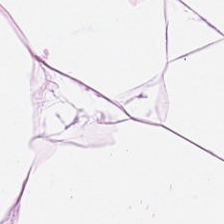20× equivalent magnification; H&E-stained tissue section. This patch shows adipocytes.
